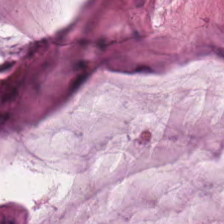Stain: H&E stain.
Tissue type: extracellular mucin.
